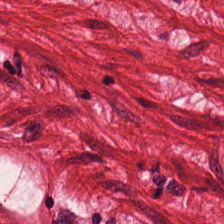Hematoxylin and eosin — Predominantly smooth-muscle tissue.
